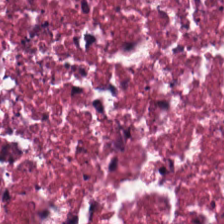Stain: H&E-stained tissue section.
Tile size: 224×224 px tile.
Acquisition: whole-slide-image patch.
Tissue: debris.
